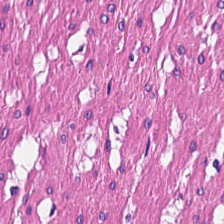Hematoxylin-and-eosin stained section · 0.5 µm/px · FFPE.
Predominant tissue — muscularis.
